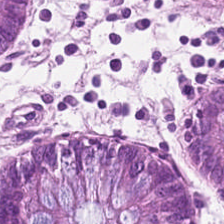H&E-stained section; the field shows normal colon mucosa.
